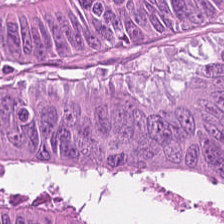224×224 px tile. H&E stain. Classification — colorectal adenocarcinoma.
